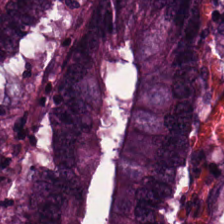The predominant tissue is tumor epithelium.
